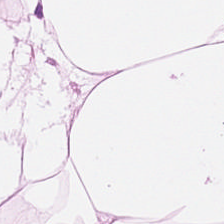H&E. WSI patch.
Impression → adipose tissue.
